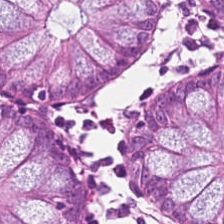H&E; 0.5 microns per pixel; formalin-fixed paraffin-embedded section. Q: What does this patch show?
A: The field shows normal colon mucosa.
